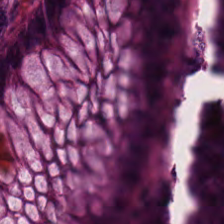H&E stain; brightfield microscopy.
Tissue type: benign colonic mucosa.
